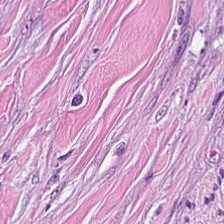Hematoxylin-and-eosin stained section.
This patch shows desmoplastic stroma.
